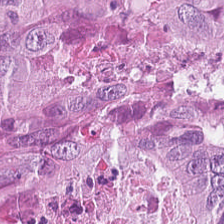Stain: H&E-stained tissue section.
Acquisition: brightfield.
Tissue: tumor epithelium.
